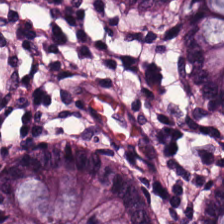FFPE; hematoxylin and eosin; 224×224 pixel tile. {"tissue_type": "normal colon mucosa"}
